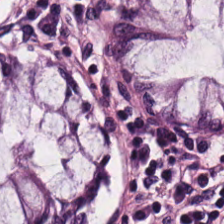Finding → benign colonic mucosa.
